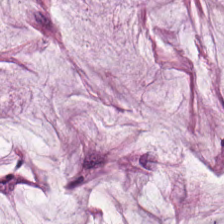{"tissue_type": "extracellular mucin"}
